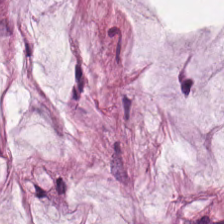H&E-stained tissue section. Q: What is shown in this field?
A: It is mucin.
